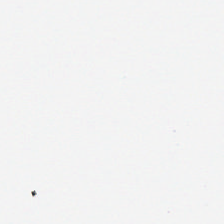H&E — {"content": "no tissue"}
